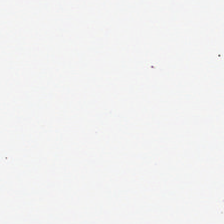H&E-stained tissue section. Background — no tissue in this field.
